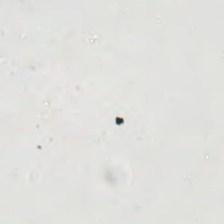Hematoxylin-and-eosin stained section — Q: Classify this patch.
A: This is background (no tissue).
